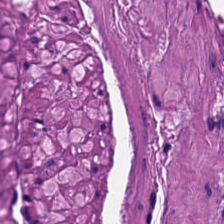Stain: hematoxylin-and-eosin stained section.
Classification: muscularis.
